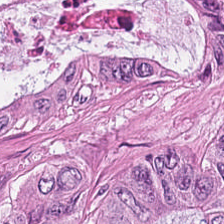Hematoxylin and eosin. 0.5 µm/px. FFPE — Impression → malignant epithelium.
